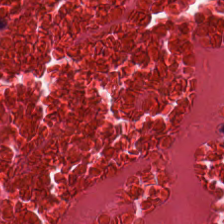Hematoxylin-and-eosin stained section — This field is necrotic debris.
